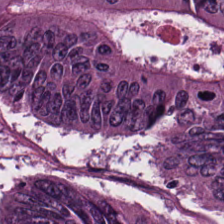Stain: H&E-stained tissue section.
Tile size: 224×224 px patch.
Preparation: formalin-fixed paraffin-embedded section.
Classification: tumor epithelium.
